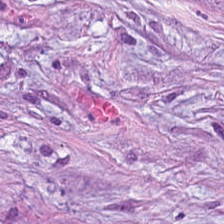H&E stain — Q: What tissue type is shown here?
A: This is tumor stroma.
